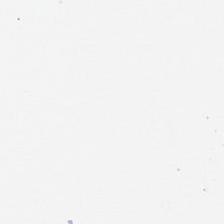224×224 pixel tile · 0.5 microns per pixel · H&E-stained tissue section — Background.
